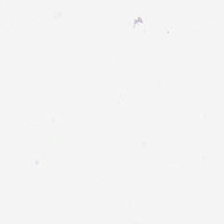Content — background.
